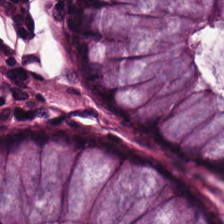Classification — non-neoplastic colon mucosa.
